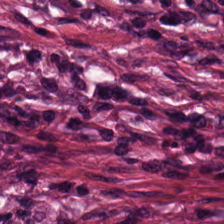Hematoxylin-and-eosin section: tumor stroma.
